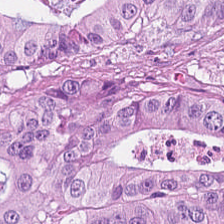Hematoxylin and eosin. Whole-slide-image patch. 224×224 px patch.
Finding → malignant epithelium.
